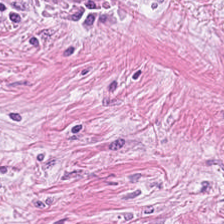Q: What does this patch show?
A: The field shows cancer-associated stroma.
